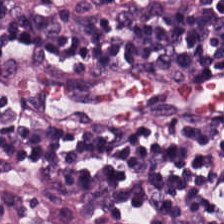Formalin-fixed paraffin-embedded section; H&E — The tissue here is lymphocytes.
